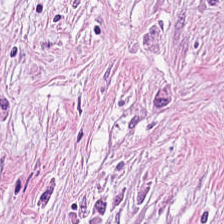Stain: hematoxylin-and-eosin stained section.
Preparation: FFPE.
Tile size: 224×224 pixel tile.
Tissue type: tumor stroma.
